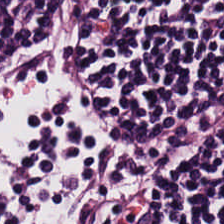H&E-stained tissue section showing lymphoid infiltrate.
